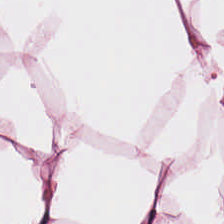20× equivalent magnification. Brightfield. Hematoxylin-and-eosin stained section.
This patch shows fat tissue.
